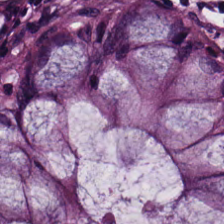FFPE tissue section; H&E — Showing normal colonic mucosa.
